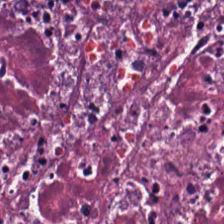Hematoxylin and eosin — This patch shows necrotic debris.
